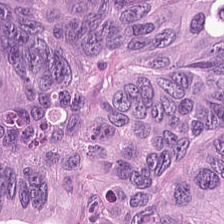This patch shows malignant epithelium.
